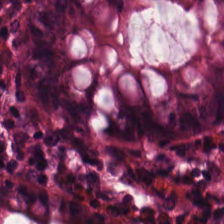H&E — benign colonic mucosa.
